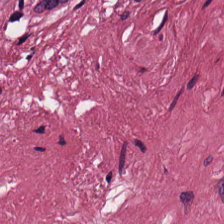Hematoxylin and eosin — Q: What does this patch show?
A: It is tumor-associated stroma.
